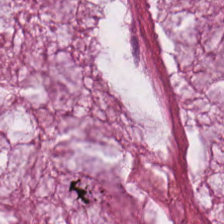H&E. Q: What does this patch show?
A: This is mucus.
